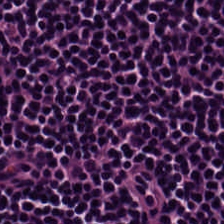Stain: H&E-stained tissue section.
Predominant tissue: lymphocyte aggregate.
